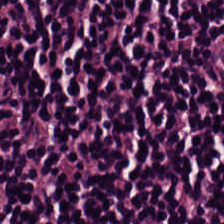H&E-stained tissue section.
Predominantly lymphoid infiltrate.
